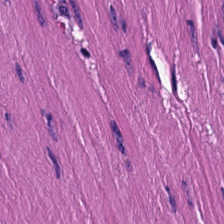H&E-stained section; the field shows smooth muscle.
